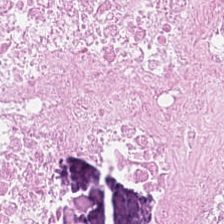Showing necrotic debris.
